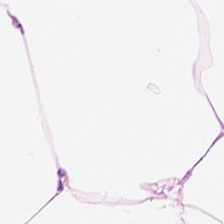0.5 µm/px; H&E — Showing adipocytes.
